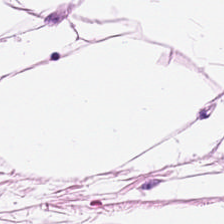Hematoxylin and eosin — The tissue is adipose tissue.
